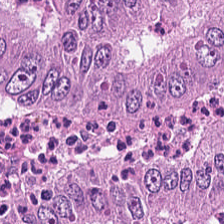H&E-stained tissue section. FFPE. The predominant tissue is adenocarcinoma.
